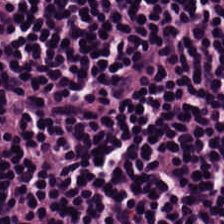Hematoxylin-and-eosin stained section. {"tissue_type": "lymphocytic infiltrate"}
